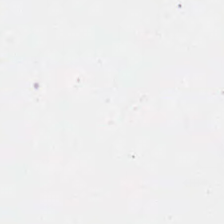Hematoxylin-and-eosin stained section.
{"content": "no tissue"}
